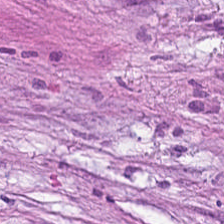Hematoxylin and eosin — The tissue class is tumor stroma.
